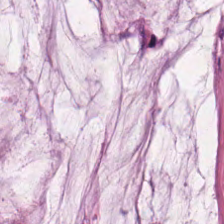Q: Identify the tissue.
A: Mucin.
